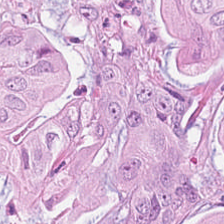H&E-stained tissue section.
Showing tumor epithelium.
